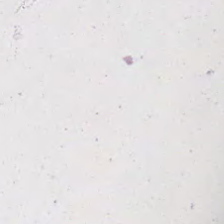FFPE tissue section. Hematoxylin-and-eosin stained section.
Finding — background (no tissue).
